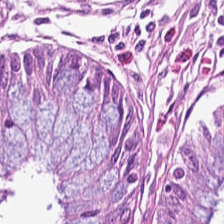H&E-stained tissue section · 224×224 pixel tile · 0.5 microns per pixel. Q: Classify this patch.
A: This is non-neoplastic colon mucosa.
